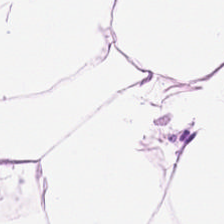Tissue: fat tissue.
